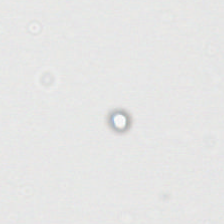20× equivalent magnification. WSI patch. H&E-stained tissue section — Background — no tissue in this field.
